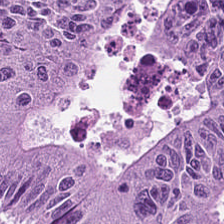0.5 microns per pixel; hematoxylin-and-eosin stained section; whole-slide-image patch — This patch shows malignant epithelium.
